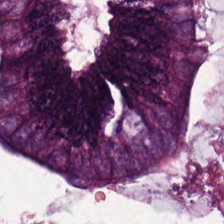H&E-stained tissue section; 224×224 px patch; 0.5 microns per pixel — {"tissue_type": "colorectal adenocarcinoma"}
